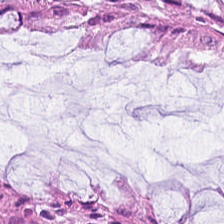Hematoxylin and eosin — Predominant tissue: normal colonic mucosa.
